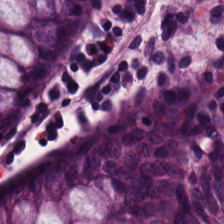Brightfield. Hematoxylin and eosin.
Q: What type of tissue is this?
A: It is benign colonic mucosa.
